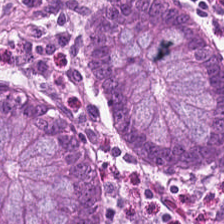224×224 px patch · whole-slide-image patch · hematoxylin and eosin — Classification: non-neoplastic colon mucosa.
